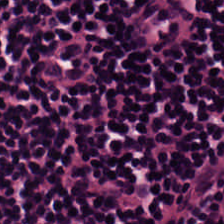The tissue type is lymphocytic infiltrate.
